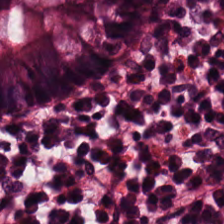Normal colonic mucosa.
